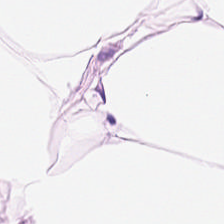Showing adipose tissue.
